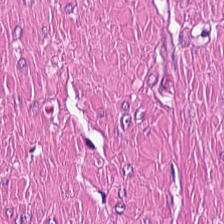Histology → smooth muscle.
